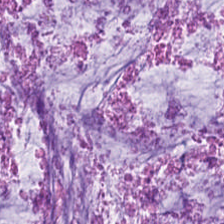WSI patch. FFPE. Hematoxylin-and-eosin stained section — Q: What is the predominant tissue type?
A: This is extracellular mucin.
